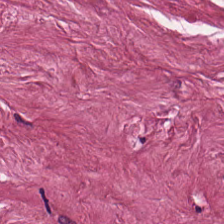FFPE · 224×224 px tile · H&E-stained tissue section — Showing tumor stroma.
